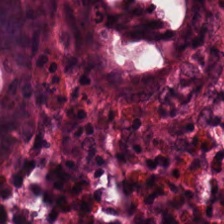224×224 px tile. Hematoxylin-and-eosin stained section. 0.5 microns per pixel — Predominantly normal colon mucosa.
